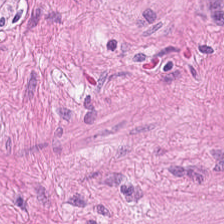Hematoxylin and eosin. Tissue: smooth-muscle tissue.
